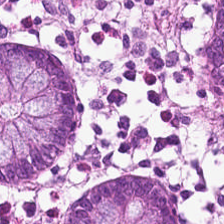H&E.
This patch shows normal colonic mucosa.
